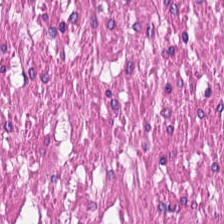Hematoxylin and eosin. The predominant tissue is muscularis.
